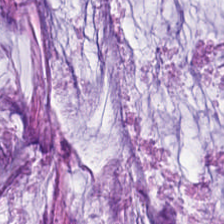Finding → mucin.
